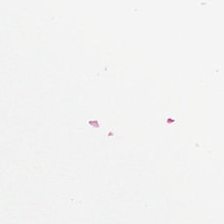WSI patch. Hematoxylin and eosin — Field content — no tissue.
